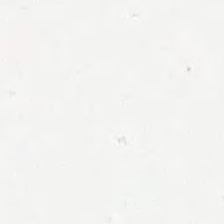224×224 px patch. H&E stain. Whole-slide-image patch — No tissue.
